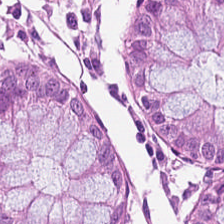Hematoxylin-and-eosin stained section. Tissue type — benign colonic mucosa.
